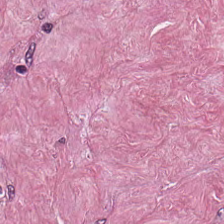The predominant tissue is tumor-associated stroma.
